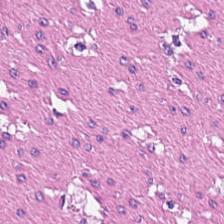H&E; 224×224 px tile. Predominantly smooth-muscle tissue.
